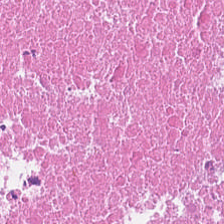Formalin-fixed paraffin-embedded section · H&E stain · 20× equivalent magnification.
Tissue: cellular debris.
